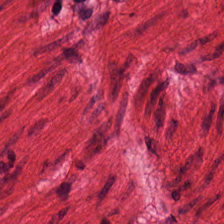Stain: H&E stain.
Classification: smooth muscle.
